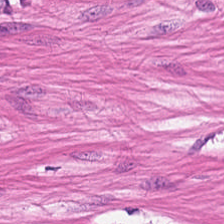0.5 µm per pixel. 224×224 px tile. H&E. The predominant tissue is muscularis.
